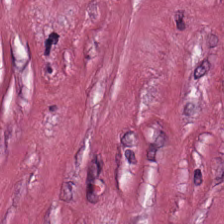H&E. 0.5 microns per pixel — Tumor-associated stroma.
